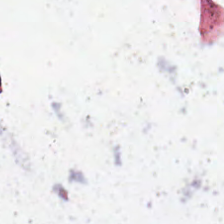H&E-stained tissue section — Q: What is shown here?
A: This is background (no tissue).
